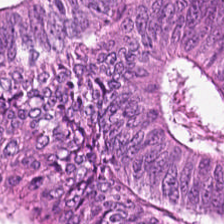Hematoxylin-and-eosin stained section.
Classification — tumor epithelium.
